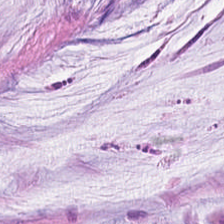Hematoxylin-and-eosin stained section. Q: What is the predominant tissue type?
A: Mucin.
